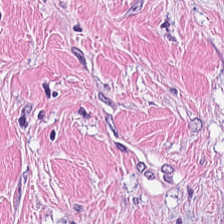Q: What does this patch show?
A: This is tumor stroma.
